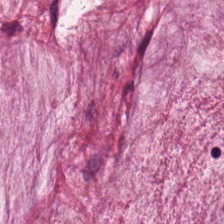This field is extracellular mucin.
